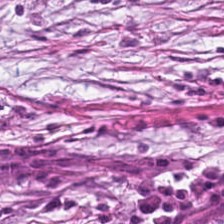H&E.
The tissue here is tumor stroma.
